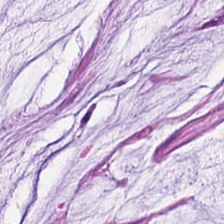H&E-stained tissue section.
Tissue — mucus.
